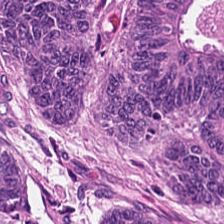H&E-stained tissue section · 224×224 pixel tile — Histology → malignant epithelium.
